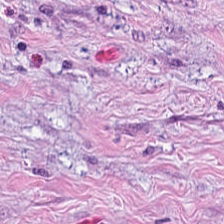H&E-stained tissue section. Whole-slide-image patch. The predominant tissue is desmoplastic stroma.
